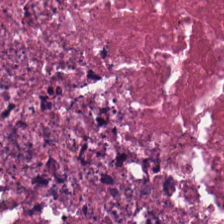H&E-stained tissue section. 224×224 pixel tile.
The predominant tissue is debris.
